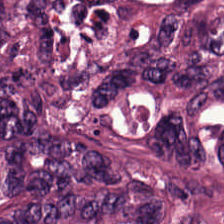H&E stain — Histology → colorectal adenocarcinoma epithelium.
